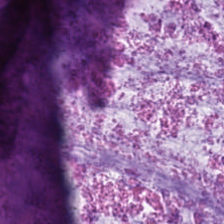Hematoxylin and eosin. 0.5 microns per pixel. FFPE tissue section.
The predominant tissue is mucus.
